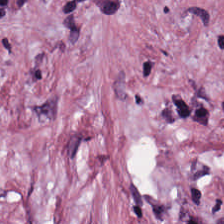FFPE tissue section · H&E.
Q: What does this patch show?
A: The field shows desmoplastic stroma.
